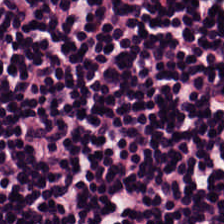Hematoxylin and eosin — Tissue class — lymphocytes.
